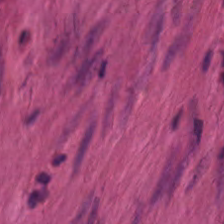Hematoxylin and eosin.
{"tissue_type": "smooth-muscle tissue"}
